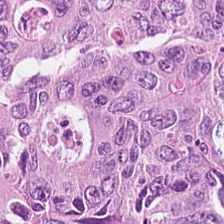H&E. The tissue here is colorectal adenocarcinoma epithelium.
